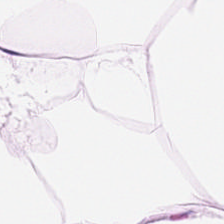0.5 µm/px · FFPE · hematoxylin and eosin — Q: What is shown here?
A: It is fat tissue.
